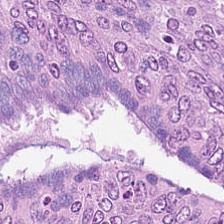Hematoxylin-and-eosin stained section; 0.5 µm per pixel.
Predominantly tumor epithelium.
